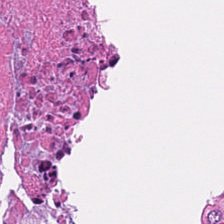224×224 px patch; hematoxylin-and-eosin stained section.
This field is necrotic debris.
